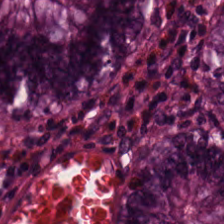H&E-stained tissue section — Classification = normal colonic mucosa.
